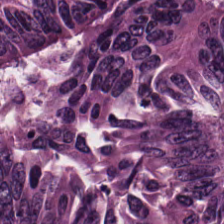Hematoxylin and eosin — Showing adenocarcinoma.
